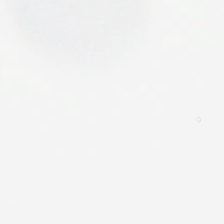224×224 px tile · H&E — Content — empty background.
